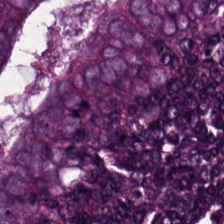0.5 microns per pixel; 224×224 px patch; H&E-stained tissue section.
The tissue here is malignant epithelium.
